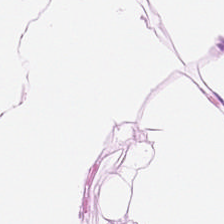Hematoxylin-and-eosin stained section. This patch shows adipose tissue.
